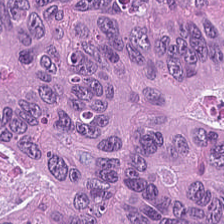20× equivalent magnification · H&E. Tissue type: malignant epithelium.
